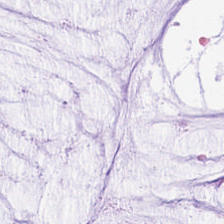H&E-stained tissue section — Showing extracellular mucin.
